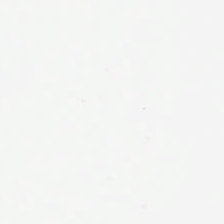20× equivalent magnification; H&E; 224×224 pixel tile. Field content: no tissue.
